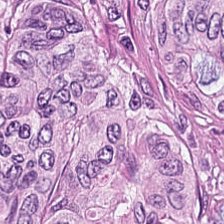H&E. 0.5 µm/px. WSI patch — The predominant tissue is adenocarcinoma.
